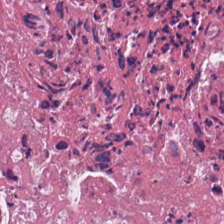H&E patch showing debris.
